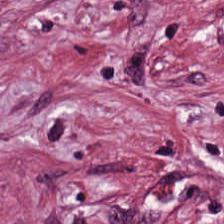Stain: H&E.
Resolution: 0.5 µm/px.
Tissue: cancer-associated stroma.
